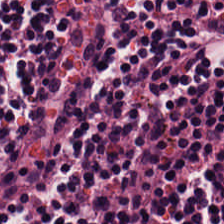Brightfield microscopy; H&E-stained tissue section — Tissue class: lymphocytes.
